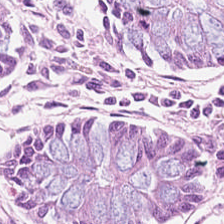Hematoxylin and eosin. FFPE.
The predominant tissue is non-neoplastic colon mucosa.
